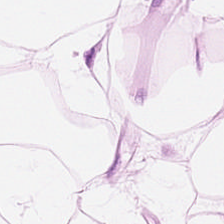Classification — adipocytes.
